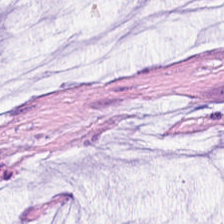224×224 px patch. H&E stain — The tissue is extracellular mucin.
